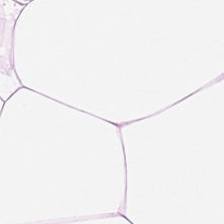H&E; brightfield microscopy — The predominant tissue is adipocytes.
